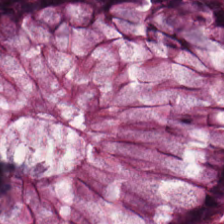WSI patch; H&E-stained tissue section — Predominant tissue = benign colonic mucosa.
